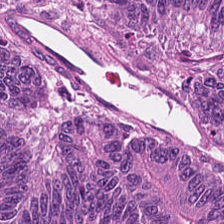Stain: H&E.
Tile size: 224×224 px patch.
Predominant tissue: tumor epithelium.
